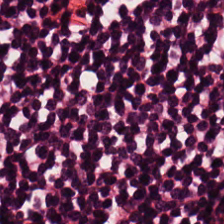224×224 px tile. Hematoxylin and eosin.
Tissue class = lymphocytic infiltrate.
